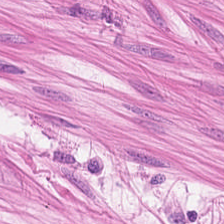H&E-stained tissue section — This field is smooth muscle.
